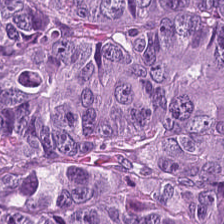Finding → tumor epithelium.
